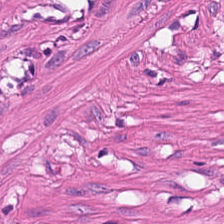Tissue — smooth muscle.
